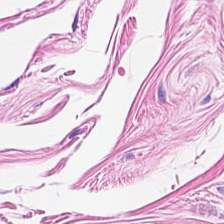H&E. Predominant tissue — smooth muscle.
